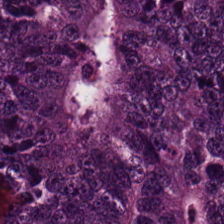Stain: H&E stain.
Tissue: tumor epithelium.
